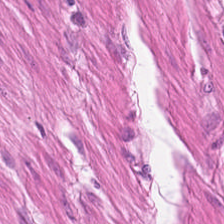H&E-stained section; the field shows muscularis.
